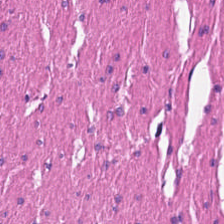0.5 microns per pixel · hematoxylin-and-eosin stained section. Q: What tissue is shown?
A: Muscularis.
